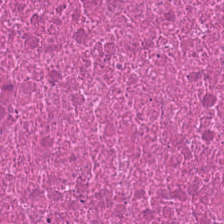The tissue here is cellular debris.
